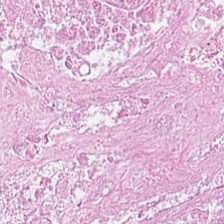H&E stain — Histology → cellular debris.
